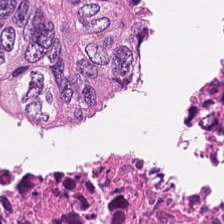H&E stain.
Necrotic debris.
